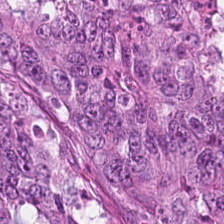H&E. 224×224 px tile.
This patch shows malignant epithelium.
